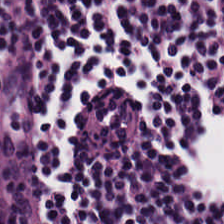Hematoxylin-and-eosin section: lymphocytes.
